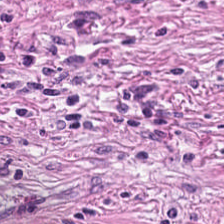Q: What tissue is shown?
A: The field shows cancer-associated stroma.
